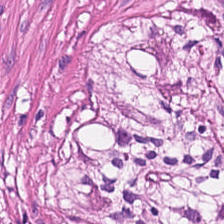Showing smooth-muscle tissue.
